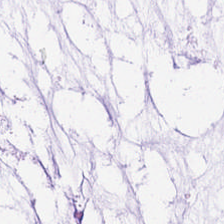H&E stain. The predominant tissue is extracellular mucin.
